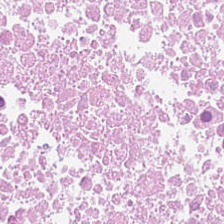H&E. Cellular debris.
